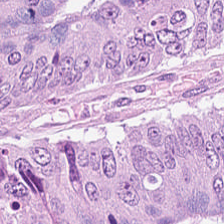Stain: hematoxylin-and-eosin stained section.
Tissue: malignant epithelium.
